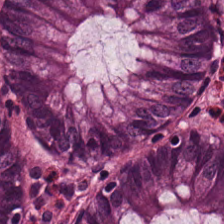H&E · FFPE tissue section.
Classification — normal colonic mucosa.
